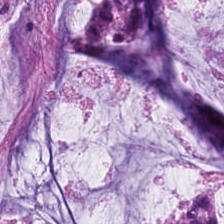Hematoxylin and eosin. Q: What is shown here?
A: Mucin.
